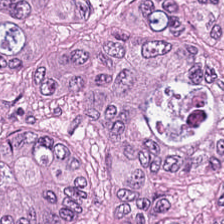Tissue: adenocarcinoma.
